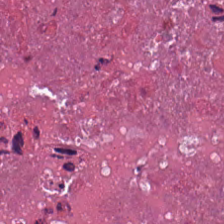FFPE · hematoxylin and eosin — Q: What tissue is shown?
A: It is cellular debris.
